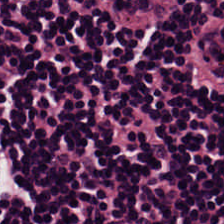20× equivalent magnification · whole-slide-image patch · H&E-stained tissue section. Showing lymphocytic infiltrate.
